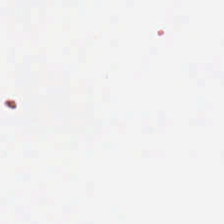Hematoxylin and eosin. 0.5 µm/px. 224×224 px patch — The content is background (no tissue).
